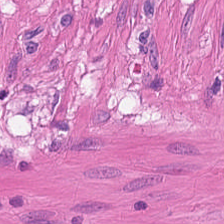FFPE tissue section · H&E-stained tissue section. Muscularis.
